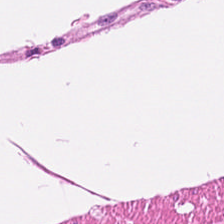H&E. Predominantly smooth-muscle tissue.
